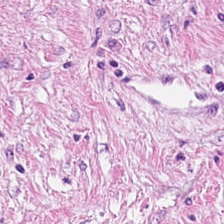Hematoxylin-and-eosin stained section.
Histology → desmoplastic stroma.
